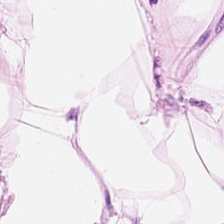Hematoxylin and eosin. Tissue class = fat tissue.
